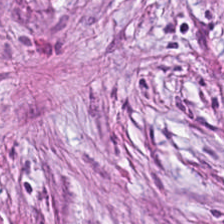Stain: H&E.
Tissue: tumor stroma.
